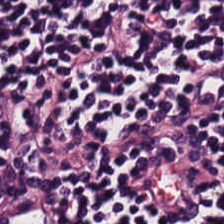0.5 µm per pixel. H&E stain.
Q: What tissue is shown?
A: This is lymphocytes.
